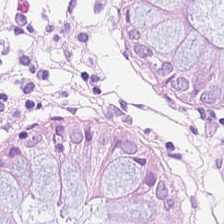20× equivalent magnification · H&E stain · 224×224 px tile — The predominant tissue is benign colonic mucosa.
